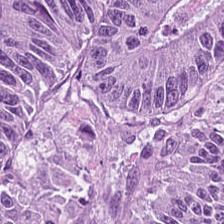224×224 px tile. H&E-stained tissue section. 0.5 µm/px.
The tissue here is malignant epithelium.
